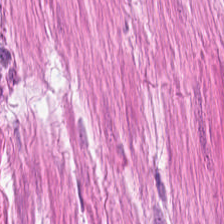Hematoxylin and eosin — Impression — smooth muscle.
